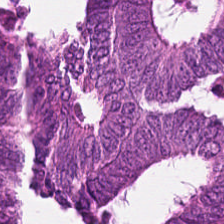WSI patch. H&E — Q: What is the predominant tissue type?
A: The field shows malignant epithelium.
